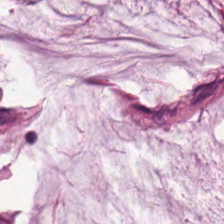H&E stain. The predominant tissue is extracellular mucin.
